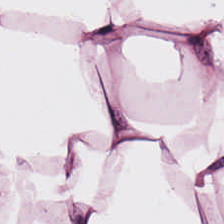Q: What is the predominant tissue type?
A: The field shows adipose.
